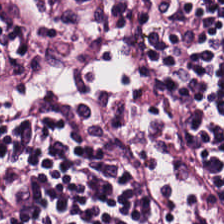H&E-stained section; the field shows lymphoid infiltrate.
